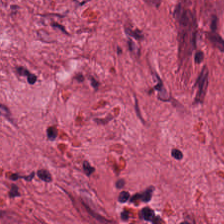H&E-stained tissue section — Tissue class: tumor stroma.
